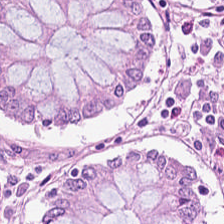H&E · whole-slide-image patch. {"tissue_type": "benign colonic mucosa"}
